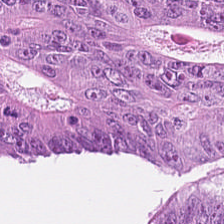FFPE tissue section; hematoxylin and eosin.
The tissue is adenocarcinoma.
